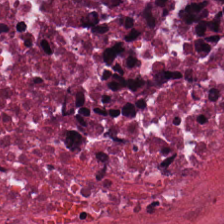Tissue type — cellular debris.
